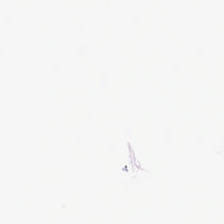Hematoxylin-and-eosin stained section — Q: What does this patch show?
A: It is empty background.
